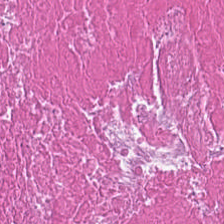Q: What tissue type is shown here?
A: Cellular debris.
